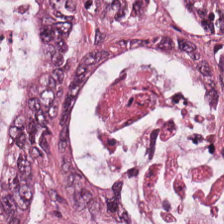H&E.
Q: What is shown here?
A: It is adenocarcinoma.
